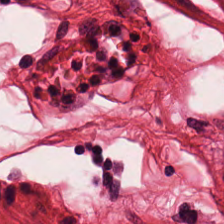H&E-stained tissue section — Smooth-muscle tissue.
